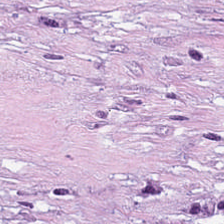Whole-slide-image patch; formalin-fixed paraffin-embedded section; H&E stain.
The predominant tissue is tumor-associated stroma.
